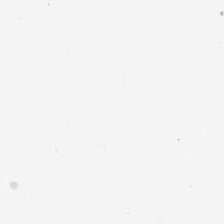Stain: H&E-stained tissue section.
Classification: empty background.
